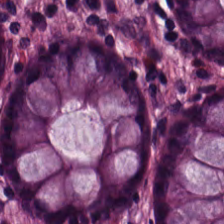0.5 microns per pixel. H&E-stained tissue section. 224×224 px tile.
This field is non-neoplastic colon mucosa.
